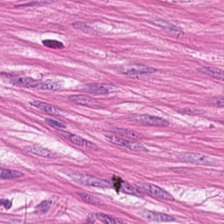H&E stain. The classification is muscularis.
